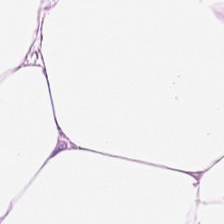H&E — {"tissue_type": "adipose tissue"}
